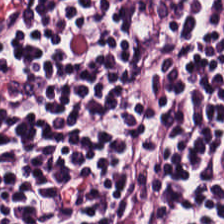Hematoxylin-and-eosin stained section. Tissue = lymphocyte aggregate.
